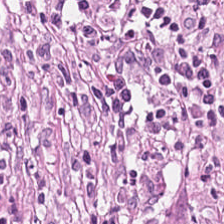Brightfield. Hematoxylin and eosin — The tissue here is cancer-associated stroma.
